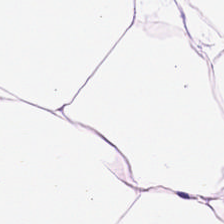Stain: H&E-stained tissue section.
Tissue type: adipocytes.
